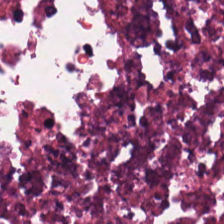Formalin-fixed paraffin-embedded section · hematoxylin-and-eosin stained section.
Tissue = necrotic debris.
